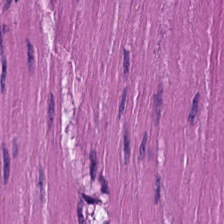The tissue class is muscularis.
